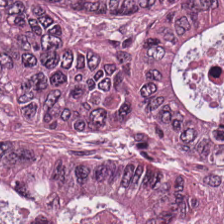H&E; formalin-fixed paraffin-embedded section.
Impression → adenocarcinoma.
